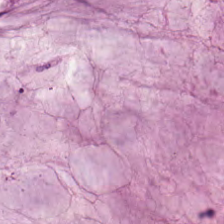Brightfield microscopy. Hematoxylin-and-eosin stained section. FFPE — Showing mucus.
